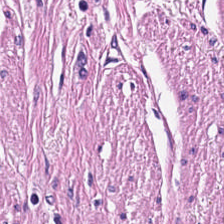Tissue: muscularis.
